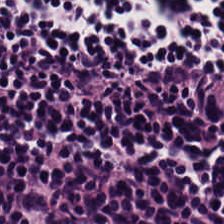Brightfield microscopy; H&E stain; 0.5 microns per pixel.
The predominant tissue is lymphocytic infiltrate.
